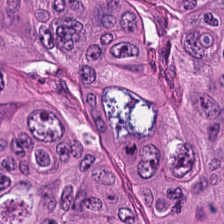Hematoxylin and eosin. Brightfield.
Q: What type of tissue is this?
A: Colorectal adenocarcinoma epithelium.
